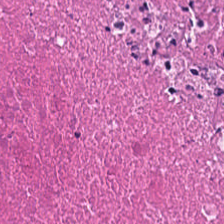Stain: H&E-stained tissue section.
Preparation: formalin-fixed paraffin-embedded section.
Tile size: 224×224 pixel tile.
Tissue: debris.
